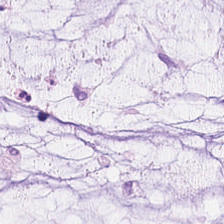H&E-stained tissue section showing extracellular mucin.
